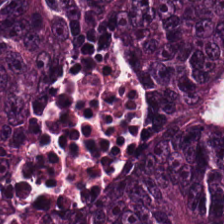Hematoxylin-and-eosin stained section. Q: What is shown in this field?
A: This is colorectal adenocarcinoma.
